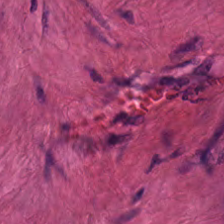Q: What is shown in this field?
A: The field shows smooth-muscle tissue.
